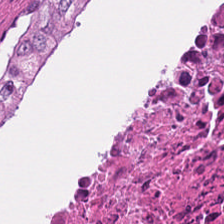224×224 px patch. 0.5 µm per pixel. H&E stain — Tissue: cellular debris.
